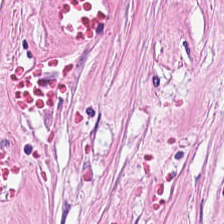H&E stain — Finding — cancer-associated stroma.
